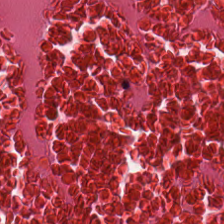H&E — Q: What does this patch show?
A: The field shows cellular debris.
